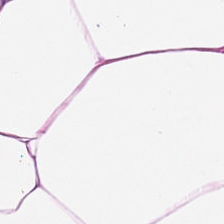Hematoxylin-and-eosin stained section — Adipose tissue.
